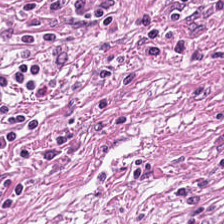Tissue: desmoplastic stroma.
